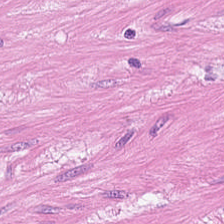Brightfield microscopy · FFPE tissue section · hematoxylin-and-eosin stained section. Showing smooth-muscle tissue.
